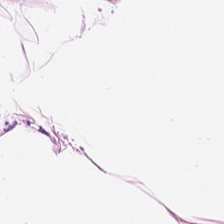H&E. Tissue type: adipose.
